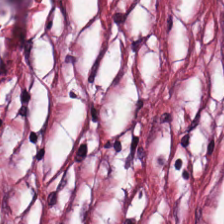Whole-slide-image patch. Hematoxylin and eosin.
The tissue here is desmoplastic stroma.
